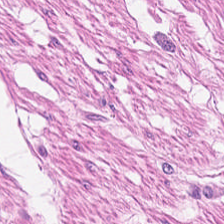H&E stain.
Q: What type of tissue is this?
A: It is muscularis.
